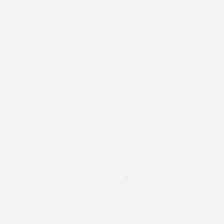This patch shows background.
